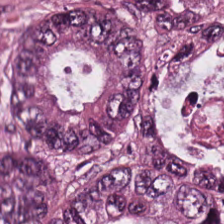H&E stain — Tissue class = adenocarcinoma.
